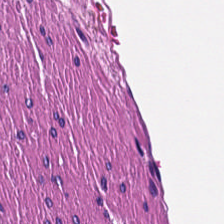Formalin-fixed paraffin-embedded section. Whole-slide-image patch. H&E stain. {"tissue_type": "smooth muscle"}
